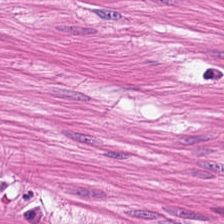H&E-stained tissue section. FFPE.
Impression → smooth muscle.
